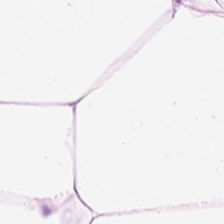Formalin-fixed paraffin-embedded section. 0.5 µm/px. Hematoxylin-and-eosin stained section — Adipose.
